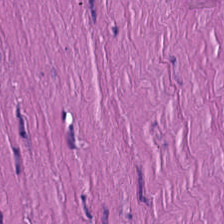Stain: H&E stain.
Tile size: 224×224 pixel tile.
Classification: muscularis.
